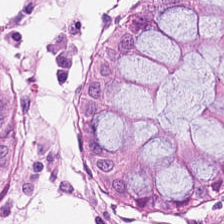Hematoxylin and eosin. Q: What does this patch show?
A: The field shows non-neoplastic colon mucosa.
